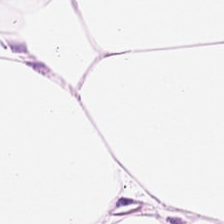0.5 microns per pixel. H&E stain — The tissue here is adipose.
